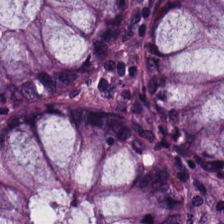Predominantly benign colonic mucosa.
